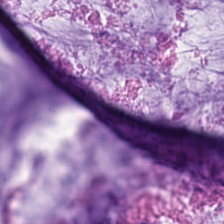H&E — Predominantly mucin.
